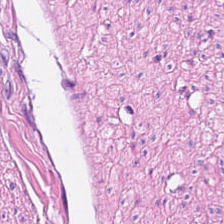H&E stain. The tissue type is muscularis.
